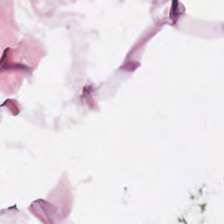WSI patch · H&E-stained tissue section — Finding — adipose tissue.
